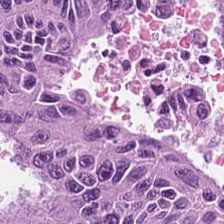H&E stain · 224×224 px patch.
Adenocarcinoma.
